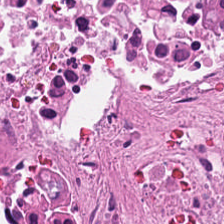224×224 px patch; brightfield; hematoxylin-and-eosin stained section.
Q: What is shown in this field?
A: Cellular debris.
